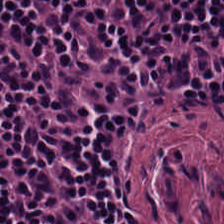Showing lymphocytic infiltrate.
